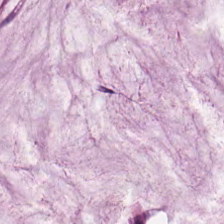H&E-stained tissue section. 0.5 µm per pixel — Q: What does this patch show?
A: This is mucus.
